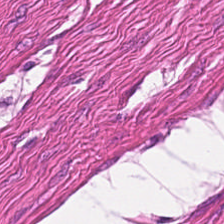Hematoxylin and eosin. Showing muscularis.
